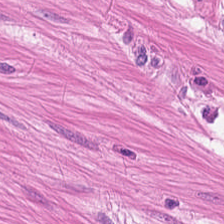Stain: hematoxylin and eosin.
Classification: muscularis.
